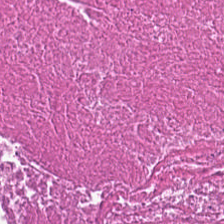Tissue = cellular debris.
